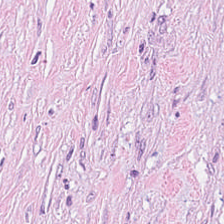H&E. Q: Identify the tissue.
A: It is cancer-associated stroma.
